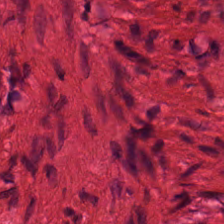H&E.
The tissue here is muscularis.
